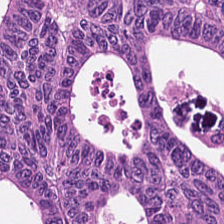224×224 px tile; hematoxylin and eosin; FFPE tissue section.
The tissue here is malignant epithelium.
